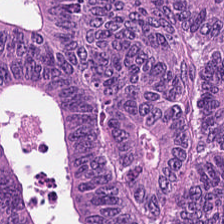0.5 microns per pixel · 224×224 px tile · H&E — This patch shows colorectal adenocarcinoma epithelium.
